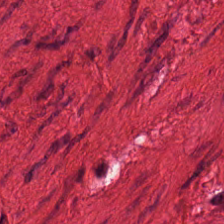H&E.
Smooth-muscle tissue.
